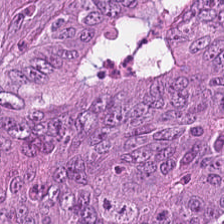H&E-stained tissue section. Q: What does this patch show?
A: This is tumor epithelium.
